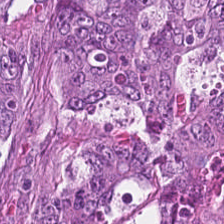H&E-stained tissue section. Tissue class: colorectal adenocarcinoma epithelium.
